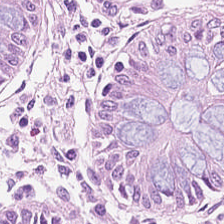Stain: hematoxylin-and-eosin stained section.
Tissue type: non-neoplastic colon mucosa.
